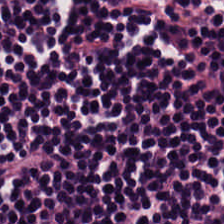H&E stain. Lymphocyte aggregate.
